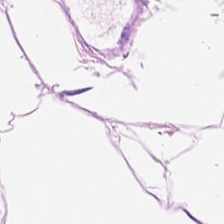Stain: H&E stain.
Classification: fat tissue.
